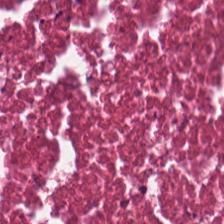Stain: H&E-stained tissue section.
Tissue type: cellular debris.
